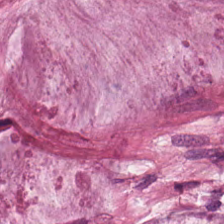H&E stain; 224×224 px patch — Histology — mucus.
